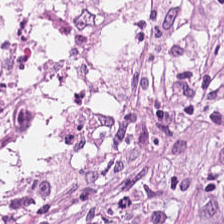Formalin-fixed paraffin-embedded section. Brightfield. H&E-stained tissue section — Impression → desmoplastic stroma.
